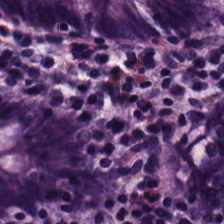Stain: H&E-stained tissue section.
Tissue class: normal colonic mucosa.
